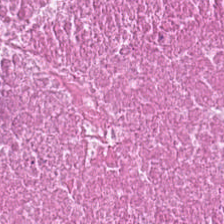This field is debris.
